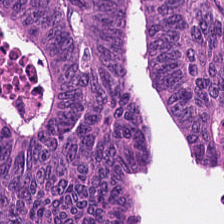H&E-stained tissue section — Histology → malignant epithelium.
